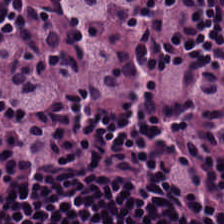H&E stain.
Tissue class: lymphocytic infiltrate.
